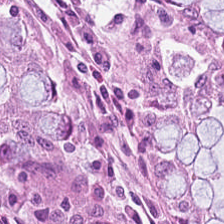Hematoxylin-and-eosin stained section. Q: What is shown in this field?
A: It is non-neoplastic colon mucosa.
